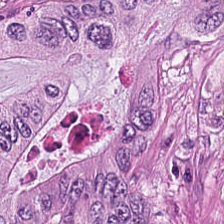H&E-stained tissue section. Q: Classify this patch.
A: It is tumor epithelium.
